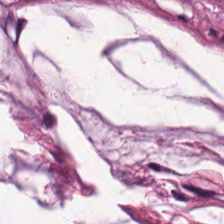Stain: H&E.
Tile size: 224×224 px tile.
Tissue: mucin.
